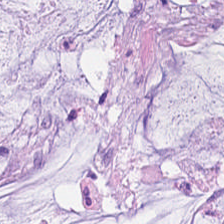Whole-slide-image patch. Hematoxylin-and-eosin stained section — {"tissue_type": "extracellular mucin"}
